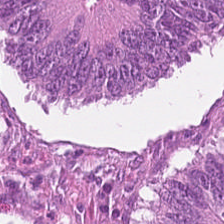Hematoxylin and eosin; 224×224 pixel tile — Tissue type = malignant epithelium.
